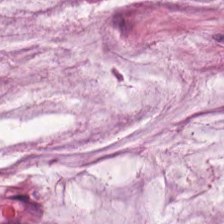Hematoxylin-and-eosin stained section — The tissue here is mucus.
